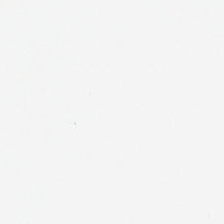Whole-slide-image patch · 224×224 pixel tile · H&E-stained tissue section — Q: What does this patch show?
A: The field shows background (no tissue).
